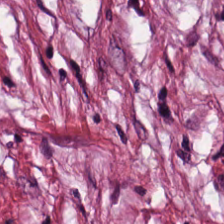H&E stain.
The predominant tissue is tumor stroma.
